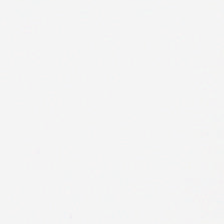Stain: H&E stain.
Preparation: FFPE tissue section.
Content: no tissue.
